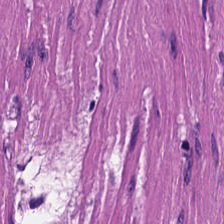Whole-slide-image patch; H&E stain — Impression — smooth muscle.
